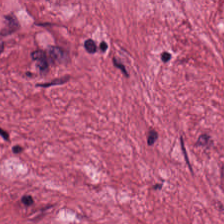Tissue — cancer-associated stroma.
